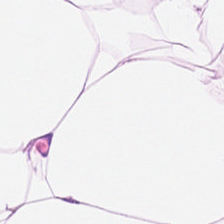Hematoxylin-and-eosin stained section. Q: What is shown in this field?
A: Adipocytes.
